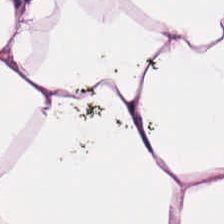Hematoxylin-and-eosin stained section. Fat tissue.
